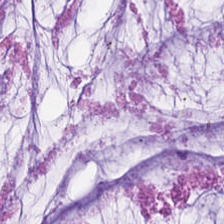Stain: H&E-stained tissue section.
Resolution: 20× equivalent magnification.
Tile size: 224×224 px patch.
Tissue type: mucin.
